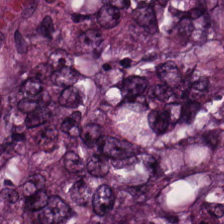Hematoxylin-and-eosin stained section; 0.5 microns per pixel. Q: What does this patch show?
A: This is tumor epithelium.
